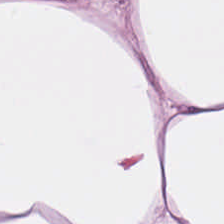Hematoxylin and eosin.
This patch shows adipose.
